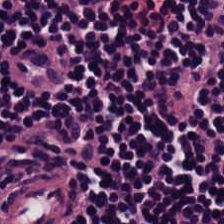Hematoxylin-and-eosin stained section; 224×224 pixel tile.
Showing lymphoid infiltrate.
